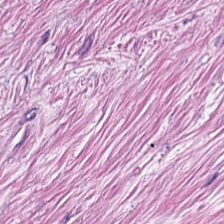Hematoxylin and eosin.
Predominant tissue — tumor-associated stroma.
